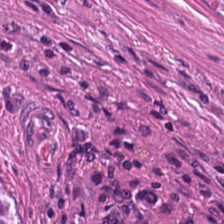Hematoxylin-and-eosin stained section.
Histology — extracellular mucin.
